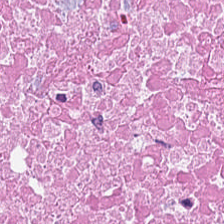Hematoxylin-and-eosin stained section.
Predominantly necrotic debris.
